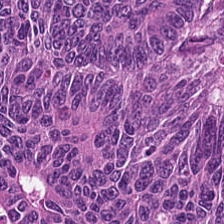Stain: H&E-stained tissue section.
Resolution: 20× equivalent magnification.
Acquisition: WSI patch.
Predominant tissue: malignant epithelium.
